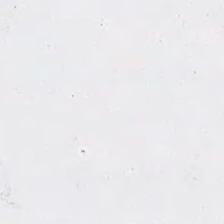Hematoxylin and eosin.
Background — no tissue in this field.
